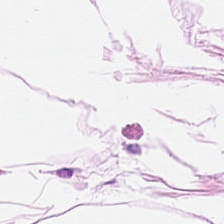Impression → adipose.
